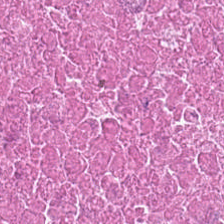20× equivalent magnification · brightfield · hematoxylin and eosin. Predominant tissue — necrotic debris.
